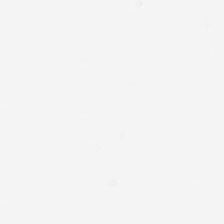Hematoxylin-and-eosin stained section · whole-slide-image patch.
This patch shows background (no tissue).
